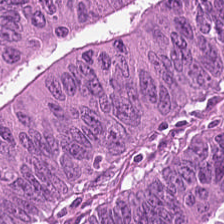Whole-slide-image patch; H&E.
The predominant tissue is malignant epithelium.
